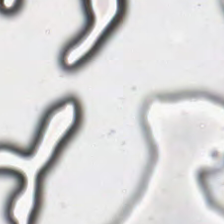Hematoxylin and eosin · 20× equivalent magnification · FFPE. Q: What does this patch show?
A: Background.
